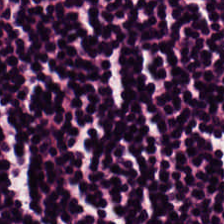The tissue here is lymphoid infiltrate.
